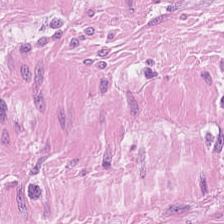FFPE; hematoxylin-and-eosin stained section. Classification — smooth muscle.
